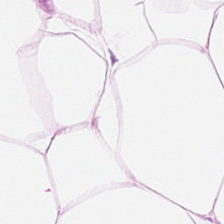Tissue type = adipose tissue.
